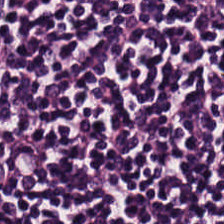Stain: H&E stain.
Tissue type: lymphoid infiltrate.
